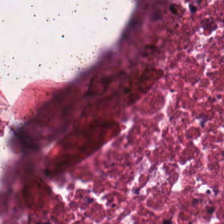Hematoxylin and eosin — Tissue class — necrotic debris.
